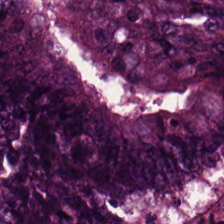H&E-stained tissue section.
Predominantly tumor epithelium.
